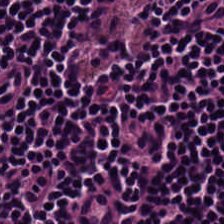H&E.
Histology → lymphoid infiltrate.
